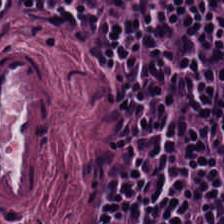Stain: hematoxylin-and-eosin stained section.
Tile size: 224×224 px tile.
Classification: lymphocytic infiltrate.
